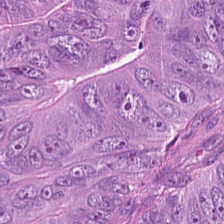Brightfield · H&E · FFPE tissue section — The tissue here is tumor epithelium.
